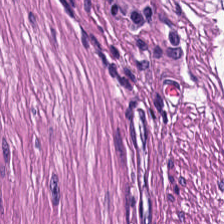Hematoxylin and eosin; 0.5 µm per pixel. Q: Identify the tissue.
A: The field shows smooth-muscle tissue.
